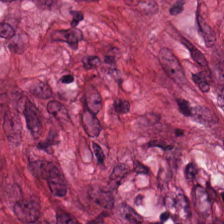Tumor stroma.
